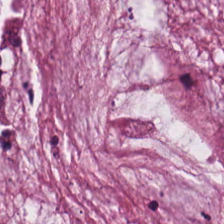Hematoxylin and eosin.
The predominant tissue is extracellular mucin.
